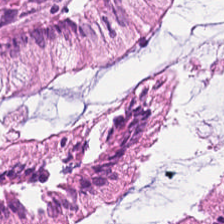Tissue class: non-neoplastic colon mucosa.
